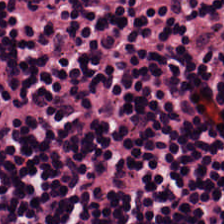H&E-stained tissue section. WSI patch.
Predominantly lymphocyte aggregate.
